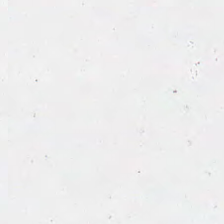H&E. Finding → no tissue.
